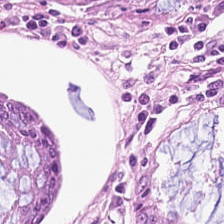Stain: H&E-stained tissue section.
Acquisition: brightfield microscopy.
Preparation: FFPE tissue section.
Tissue: benign colonic mucosa.
